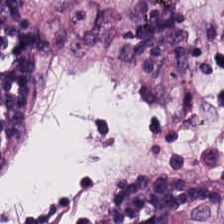Stain: H&E-stained tissue section.
Preparation: formalin-fixed paraffin-embedded section.
Tissue: lymphocytic infiltrate.
